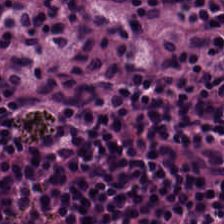Formalin-fixed paraffin-embedded section. Hematoxylin and eosin — Histology → lymphoid infiltrate.
